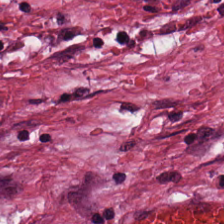Brightfield microscopy · H&E-stained tissue section · FFPE. Cancer-associated stroma.
